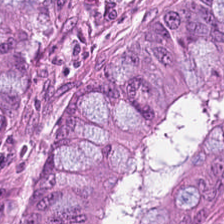Impression → adenocarcinoma.
